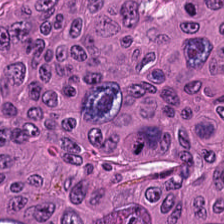H&E stain — The tissue here is colorectal adenocarcinoma.
